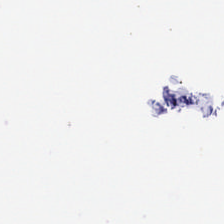224×224 px tile. Hematoxylin and eosin — Background — no tissue in this field.
